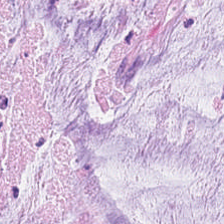H&E stain — Finding → extracellular mucin.
